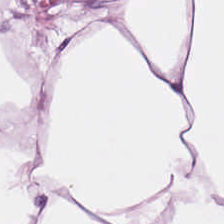H&E — Q: What type of tissue is this?
A: This is adipocytes.
